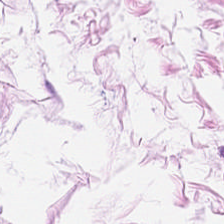Predominantly fat tissue.
